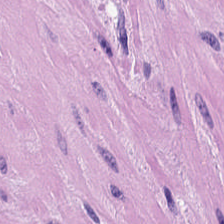Stain: H&E-stained tissue section.
Resolution: 0.5 µm per pixel.
Tissue: muscularis.
